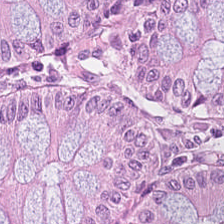H&E stain.
The predominant tissue is non-neoplastic colon mucosa.
